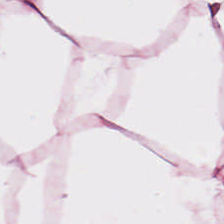H&E-stained tissue section. Histology → adipose.
